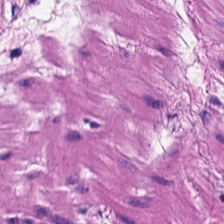Formalin-fixed paraffin-embedded section. H&E-stained tissue section. Brightfield microscopy.
Showing smooth muscle.
